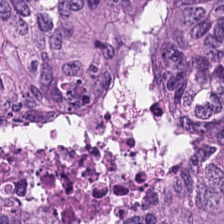224×224 px tile; brightfield microscopy; hematoxylin-and-eosin stained section. Finding — malignant epithelium.
